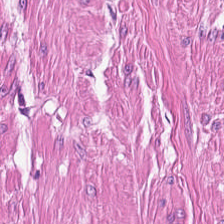H&E · 224×224 pixel tile — Q: What is the predominant tissue type?
A: The field shows smooth muscle.
